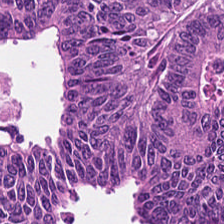H&E. 224×224 px tile. Whole-slide-image patch. Finding → colorectal adenocarcinoma.
